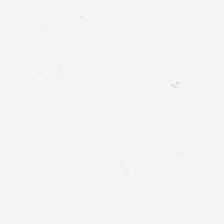Stain: hematoxylin-and-eosin stained section.
Tile size: 224×224 pixel tile.
Acquisition: brightfield.
Content: empty background.
